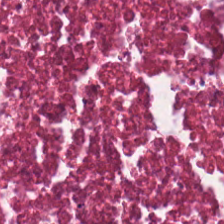H&E patch showing debris.
